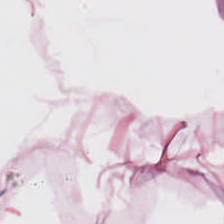H&E stain · FFPE tissue section. Showing adipose tissue.
